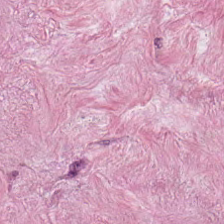0.5 µm/px; hematoxylin and eosin. Impression → tumor stroma.
